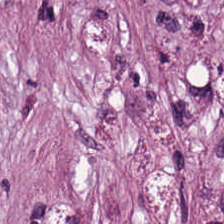224×224 px patch · FFPE tissue section · H&E stain.
Histology → desmoplastic stroma.
